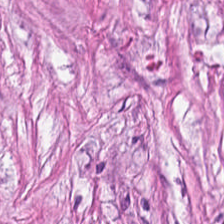H&E stain. Tissue = cancer-associated stroma.
